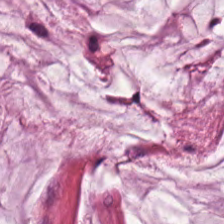Stain: H&E stain.
Acquisition: whole-slide-image patch.
Tile size: 224×224 px patch.
Tissue: mucin.
